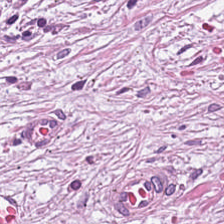H&E-stained tissue section. 224×224 px tile.
Showing cancer-associated stroma.
